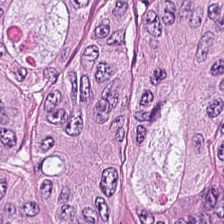Hematoxylin and eosin; brightfield microscopy.
Showing colorectal adenocarcinoma epithelium.
